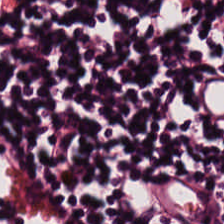Hematoxylin and eosin. Q: What is shown here?
A: The field shows lymphocyte aggregate.
